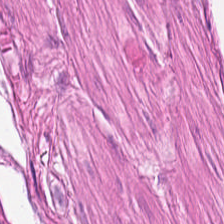20× equivalent magnification; H&E-stained tissue section — Predominantly smooth-muscle tissue.
